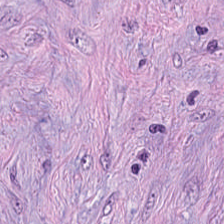20× equivalent magnification; H&E-stained tissue section.
Impression — tumor-associated stroma.
